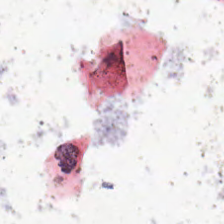H&E — Impression → empty background.
